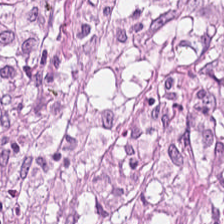H&E. This field is tumor-associated stroma.
